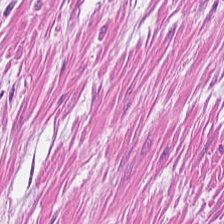This patch shows muscularis.
